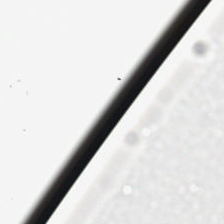{"content": "background"}
